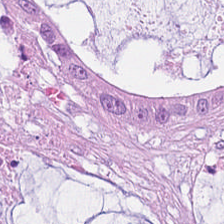H&E; formalin-fixed paraffin-embedded section.
Tissue = mucus.
